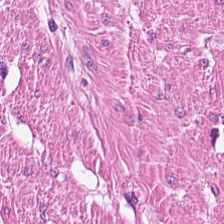H&E-stained tissue section. Q: What does this patch show?
A: The field shows smooth muscle.
